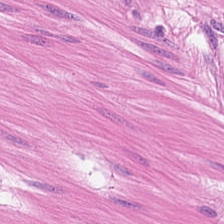Stain: H&E.
Tissue: smooth-muscle tissue.
